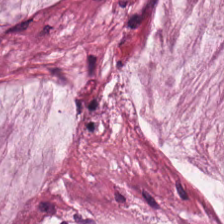H&E-stained tissue section showing mucin.
